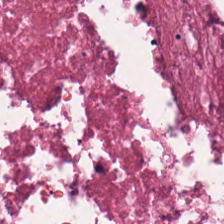Showing debris.
